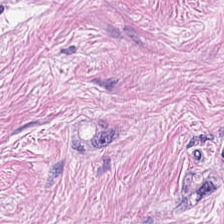Histology — tumor-associated stroma.
